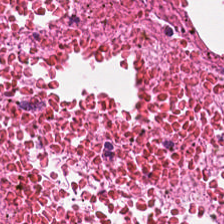Stain: hematoxylin-and-eosin stained section.
Tissue: necrotic debris.
